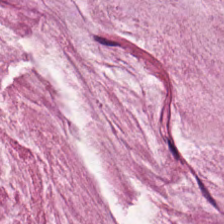H&E-stained tissue section.
Predominantly extracellular mucin.
